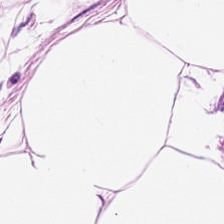Hematoxylin and eosin. 0.5 µm/px.
{"tissue_type": "adipocytes"}
